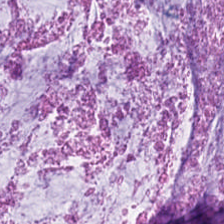Stain: H&E.
Tissue class: mucus.
